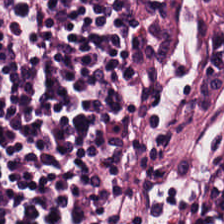Hematoxylin and eosin · 224×224 px patch — Q: What is the predominant tissue type?
A: The field shows lymphocyte aggregate.
